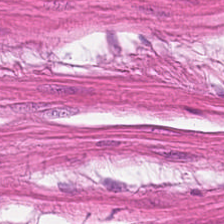Tissue: smooth-muscle tissue.
